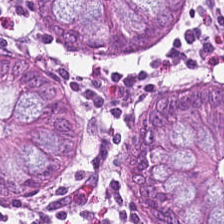FFPE tissue section; WSI patch; H&E-stained tissue section — The classification is benign colonic mucosa.
